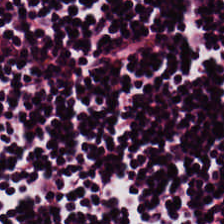Hematoxylin and eosin. Brightfield. Lymphocytes.
